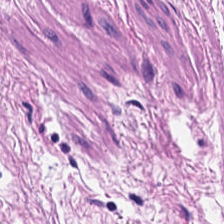H&E-stained tissue section.
Finding — smooth-muscle tissue.
